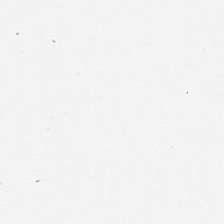Stain: H&E-stained tissue section.
Resolution: 0.5 µm per pixel.
Classification: background (no tissue).
